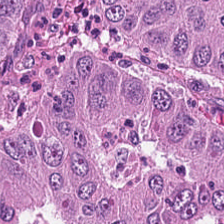Classification — colorectal adenocarcinoma epithelium.
